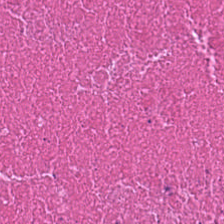H&E stain.
Histology — debris.
